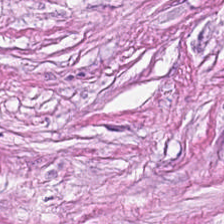H&E-stained tissue section · brightfield.
{"tissue_type": "tumor stroma"}
